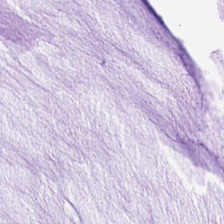H&E; 0.5 µm/px; brightfield. The classification is extracellular mucin.
